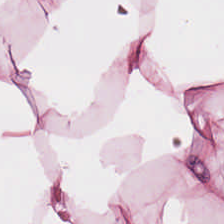H&E. Q: Identify the tissue.
A: The field shows fat tissue.
